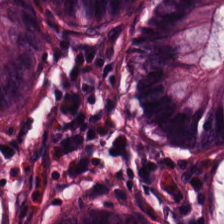H&E stain.
Finding — benign colonic mucosa.
